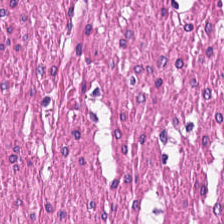H&E stain; 0.5 µm per pixel — {"tissue_type": "muscularis"}
